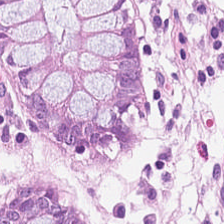H&E stain — Tissue = normal colon mucosa.
